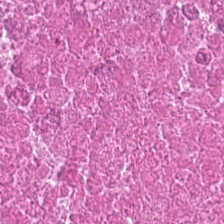H&E-stained section; the field shows cellular debris.
